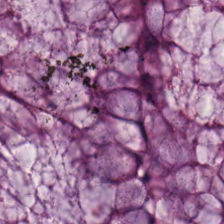Hematoxylin and eosin; formalin-fixed paraffin-embedded section. {"tissue_type": "normal colon mucosa"}
